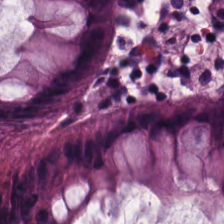The predominant tissue is normal colon mucosa.
